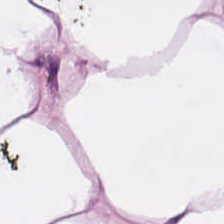H&E.
Q: What tissue type is shown here?
A: Adipose.
